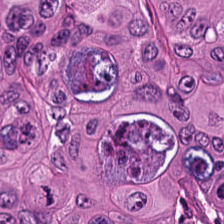H&E-stained tissue section; FFPE tissue section.
Tissue class = adenocarcinoma.
